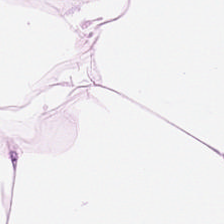H&E · WSI patch. This field is adipose tissue.
